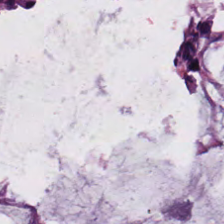H&E-stained tissue section.
Tissue class: normal colon mucosa.
